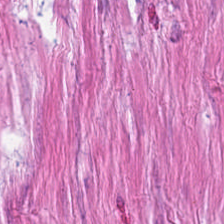Predominantly smooth-muscle tissue.
